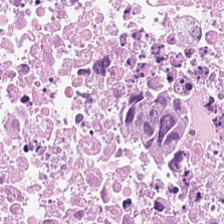H&E stain.
Q: Identify the tissue.
A: It is debris.
